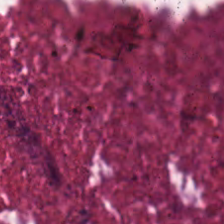Stain: H&E stain.
Predominant tissue: necrotic debris.
